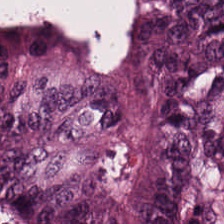FFPE tissue section. H&E stain. 224×224 pixel tile — The tissue here is tumor epithelium.
